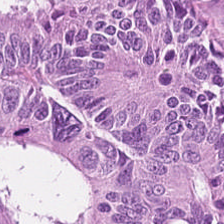FFPE tissue section. Hematoxylin-and-eosin stained section.
Tissue: malignant epithelium.
